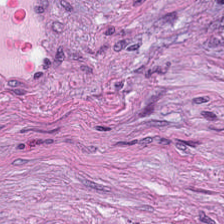H&E. The predominant tissue is cancer-associated stroma.
